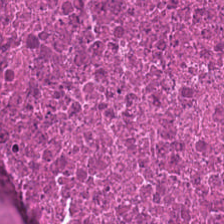Hematoxylin and eosin · FFPE tissue section.
Tissue: debris.
